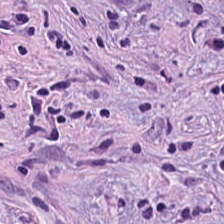H&E stain. Tissue type — desmoplastic stroma.
